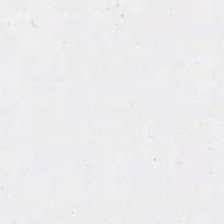Hematoxylin-and-eosin stained section. Classification: background.
